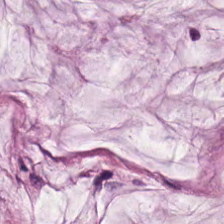Hematoxylin-and-eosin stained section · formalin-fixed paraffin-embedded section · WSI patch — The tissue class is extracellular mucin.
